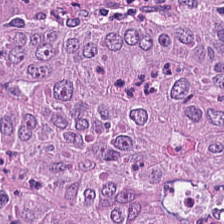Tissue type = malignant epithelium.
